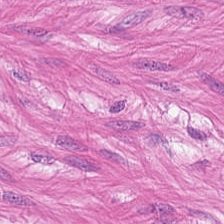Hematoxylin and eosin · 224×224 px tile — Classification = muscularis.
